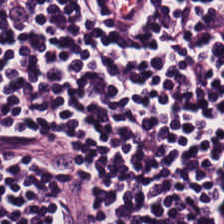H&E stain — The tissue here is lymphocytic infiltrate.
